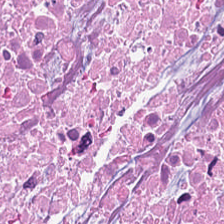Hematoxylin-and-eosin section: necrotic debris.
